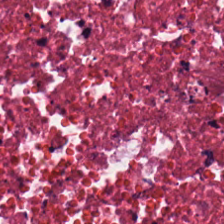Formalin-fixed paraffin-embedded section; hematoxylin and eosin; 224×224 px patch — Cellular debris.
